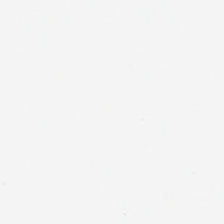FFPE tissue section · 0.5 µm/px · H&E stain. Finding — background (no tissue).
